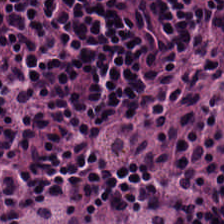H&E-stained tissue section showing lymphocytic infiltrate.
